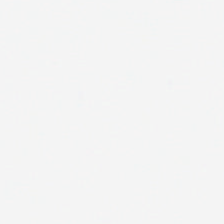H&E stain; 224×224 pixel tile; FFPE. Classification — no tissue.
